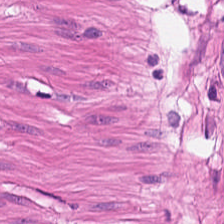H&E — Predominant tissue — smooth-muscle tissue.
